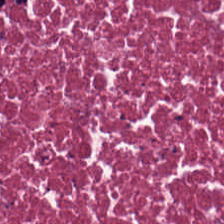0.5 µm per pixel; 224×224 px tile; H&E.
Showing cellular debris.
